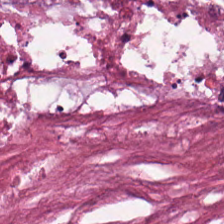Stain: hematoxylin and eosin.
Tile size: 224×224 pixel tile.
Predominant tissue: cellular debris.
